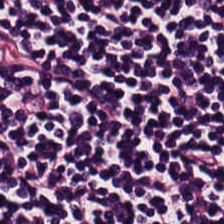H&E stain; whole-slide-image patch; 224×224 pixel tile.
Tissue type — lymphoid infiltrate.
